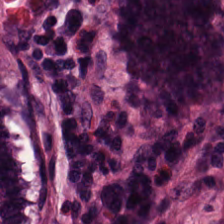H&E stain; 224×224 pixel tile; FFPE. The tissue is normal colonic mucosa.
